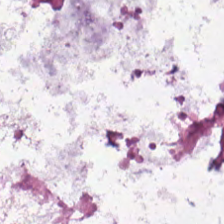Hematoxylin and eosin. 0.5 µm per pixel.
Q: What type of tissue is this?
A: Mucus.
